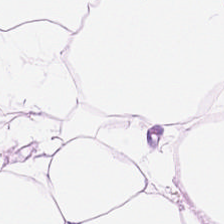H&E-stained tissue section — Tissue = fat tissue.
